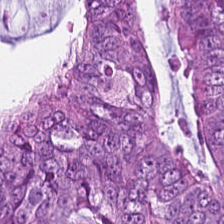FFPE tissue section. H&E — Tissue type = adenocarcinoma.
